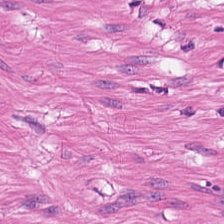H&E patch showing smooth muscle.
